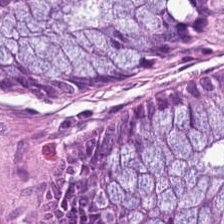H&E-stained tissue section. Tissue type = benign colonic mucosa.
